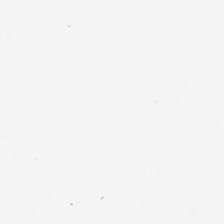224×224 px tile. Hematoxylin and eosin — Q: What is shown in this field?
A: The field shows background (no tissue).
